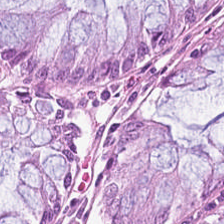The tissue type is normal colon mucosa.
